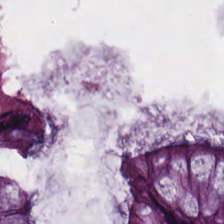Classification — benign colonic mucosa.
